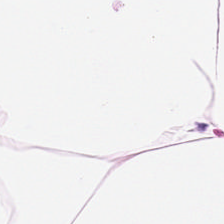Hematoxylin-and-eosin stained section. FFPE tissue section.
Finding → adipose.
